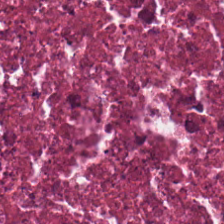Stain: H&E-stained tissue section.
Acquisition: brightfield microscopy.
Predominant tissue: necrotic debris.
